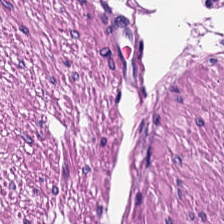Hematoxylin and eosin — Q: What does this patch show?
A: Smooth muscle.
